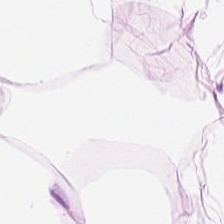H&E-stained tissue section.
Q: What type of tissue is this?
A: The field shows fat tissue.
